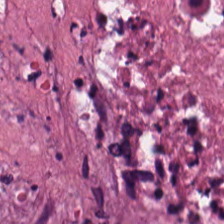0.5 microns per pixel; H&E.
Q: Identify the tissue.
A: The field shows debris.
